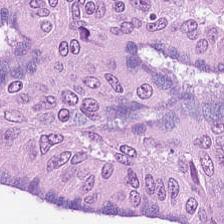Predominant tissue — colorectal adenocarcinoma epithelium.
